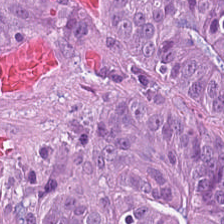Hematoxylin-and-eosin stained section.
Showing colorectal adenocarcinoma epithelium.
